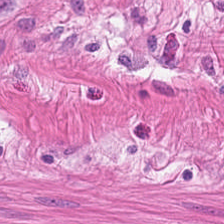224×224 pixel tile. Hematoxylin-and-eosin stained section. 0.5 µm/px — Muscularis.
